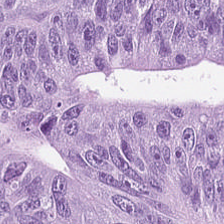H&E-stained tissue section. 0.5 microns per pixel.
The classification is tumor epithelium.
